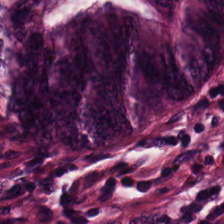H&E · 224×224 px patch — The predominant tissue is colorectal adenocarcinoma epithelium.
